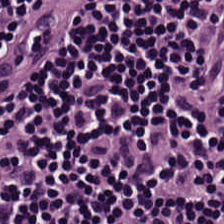Stain: hematoxylin-and-eosin stained section.
Tissue class: lymphocytic infiltrate.
